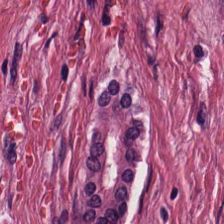20× equivalent magnification; hematoxylin and eosin — Tissue type: tumor-associated stroma.
